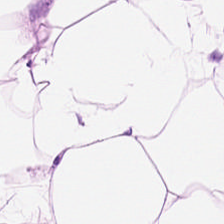Formalin-fixed paraffin-embedded section; hematoxylin and eosin. The classification is adipocytes.
